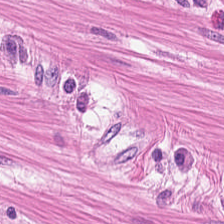Hematoxylin and eosin · brightfield microscopy — Smooth-muscle tissue.
